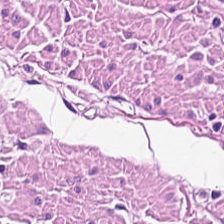FFPE; hematoxylin and eosin.
Predominantly smooth-muscle tissue.
